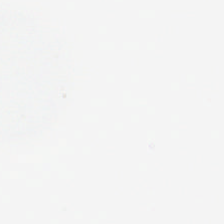The content is empty background.
